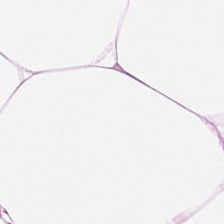224×224 px patch; H&E-stained tissue section — Tissue type = fat tissue.
